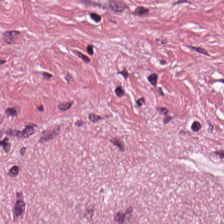Hematoxylin-and-eosin stained section.
Predominantly tumor-associated stroma.
